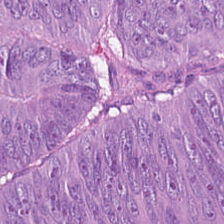H&E-stained tissue section. The tissue here is colorectal adenocarcinoma.
